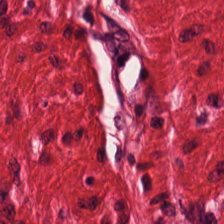H&E-stained tissue section.
Classification = smooth muscle.
